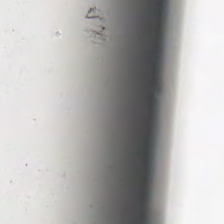FFPE tissue section. Hematoxylin and eosin. Empty field — background.
